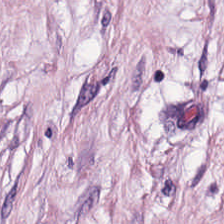Stain: H&E-stained tissue section.
Preparation: FFPE.
Tissue type: tumor-associated stroma.
